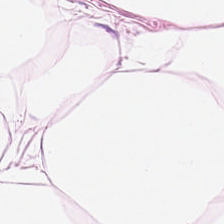Hematoxylin and eosin — Adipose tissue.
